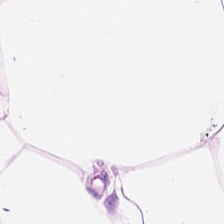H&E-stained tissue section. This field is adipose tissue.
